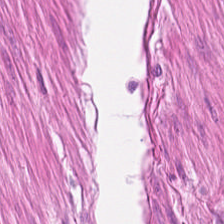The classification is muscularis.
